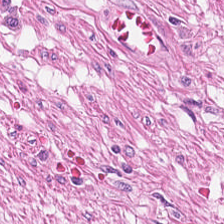H&E stain. Predominantly smooth-muscle tissue.
